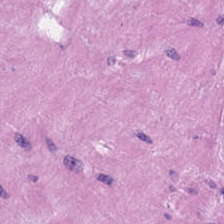Stain: H&E-stained tissue section.
Tile size: 224×224 pixel tile.
Preparation: FFPE tissue section.
Tissue class: muscularis.
